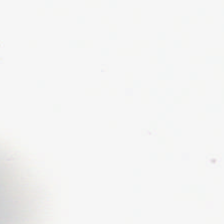Hematoxylin-and-eosin stained section.
Empty field — background (no tissue).
